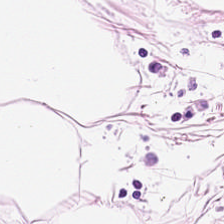H&E-stained tissue section.
Fat tissue.
